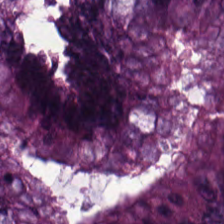FFPE; hematoxylin-and-eosin stained section.
Tissue type — colorectal adenocarcinoma epithelium.
